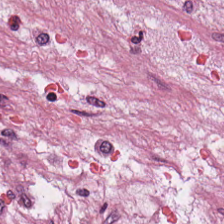Hematoxylin and eosin; FFPE.
The tissue here is tumor stroma.
